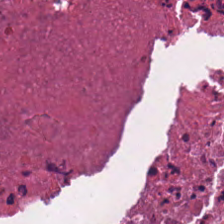H&E — cellular debris.
